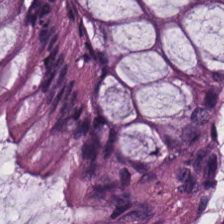H&E; brightfield.
Normal colon mucosa.
